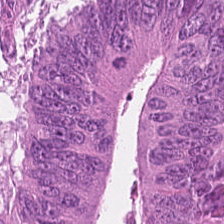H&E-stained tissue section · FFPE.
Histology → tumor epithelium.
